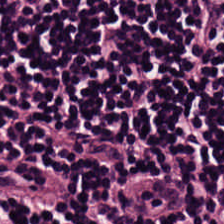H&E · 0.5 microns per pixel · 224×224 pixel tile — Tissue class — lymphocytic infiltrate.
